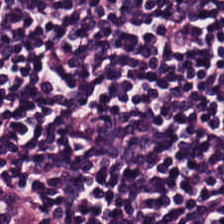224×224 px tile · H&E-stained tissue section — Impression — lymphocytic infiltrate.
